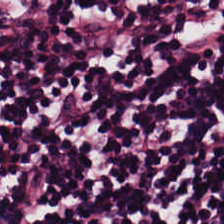Hematoxylin and eosin. Whole-slide-image patch.
The predominant tissue is lymphocytic infiltrate.
